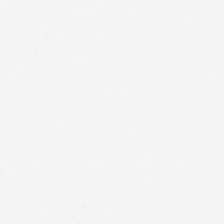H&E stain. No tissue present; background only.
